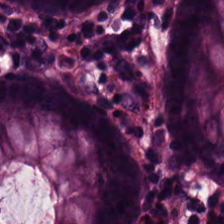Stain: H&E.
Tissue type: normal colon mucosa.
